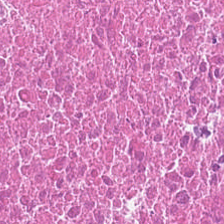Stain: hematoxylin-and-eosin stained section.
Classification: debris.
